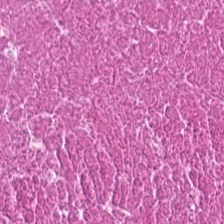Histology — cellular debris.
